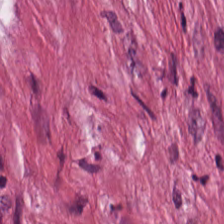Hematoxylin and eosin. Finding → desmoplastic stroma.
